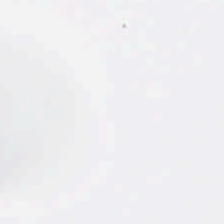Formalin-fixed paraffin-embedded section. Hematoxylin-and-eosin stained section — Q: Classify this patch.
A: The field shows empty background.
